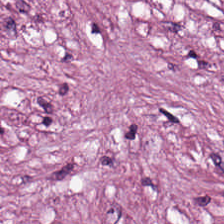Hematoxylin-and-eosin stained section.
The predominant tissue is desmoplastic stroma.
